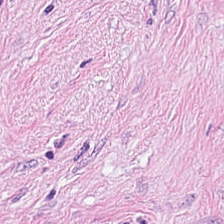Hematoxylin-and-eosin stained section.
Finding → desmoplastic stroma.
